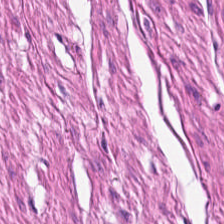H&E.
Q: What tissue is shown?
A: It is smooth-muscle tissue.
